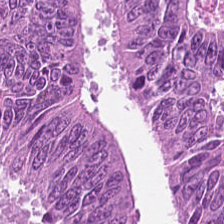H&E stain · whole-slide-image patch · 0.5 µm per pixel — Impression — colorectal adenocarcinoma epithelium.
